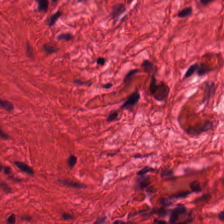H&E patch showing muscularis.
